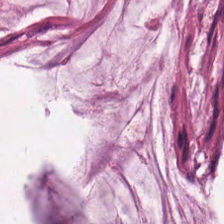224×224 px patch. H&E-stained tissue section. Brightfield. Predominant tissue — mucin.
